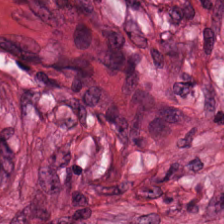Stain: H&E stain.
Acquisition: brightfield.
Tissue: cancer-associated stroma.
